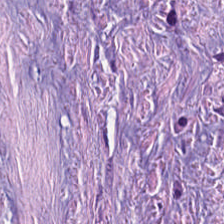Stain: hematoxylin-and-eosin stained section.
Tissue: desmoplastic stroma.
